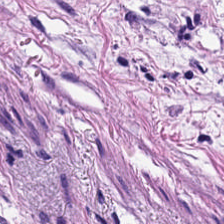The tissue type is desmoplastic stroma.
